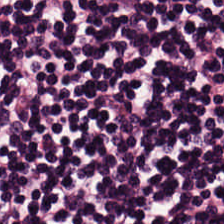H&E stain; WSI patch; 224×224 px patch — Classification = lymphocytes.
